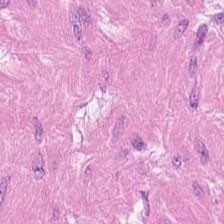Stain: hematoxylin and eosin.
Classification: smooth muscle.
